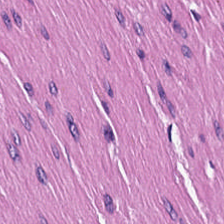Smooth muscle.
